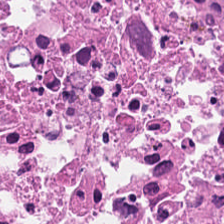224×224 px tile · hematoxylin-and-eosin stained section. Predominant tissue: debris.
